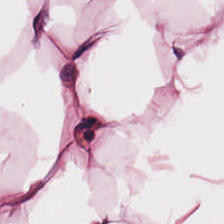0.5 µm per pixel · H&E-stained tissue section.
Histology → adipose tissue.
